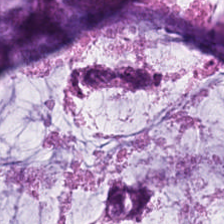FFPE tissue section; H&E-stained tissue section.
Predominantly mucus.
